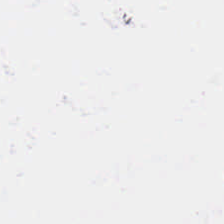Hematoxylin-and-eosin stained section; 224×224 pixel tile.
This field is background (no tissue).
